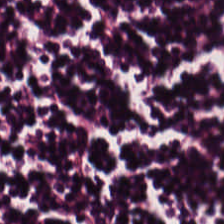Tissue type = lymphoid infiltrate.
